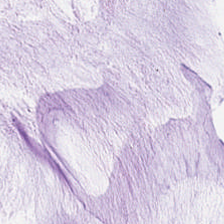H&E stain; 224×224 px patch. This patch shows mucin.
